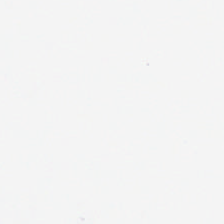20× equivalent magnification; hematoxylin and eosin.
No tissue present; background only.
